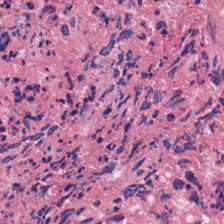Hematoxylin-and-eosin stained section — The predominant tissue is necrotic debris.
